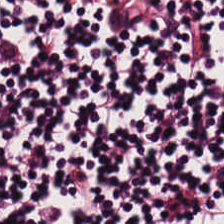Hematoxylin-and-eosin stained section. This patch shows lymphoid infiltrate.
